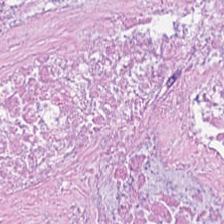Hematoxylin-and-eosin stained section. The tissue is debris.
